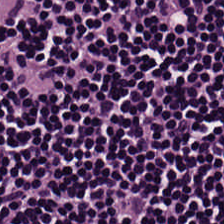H&E stain.
Finding → lymphocyte aggregate.
